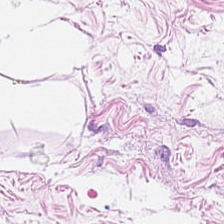H&E stain. Q: What is shown here?
A: This is adipose.
